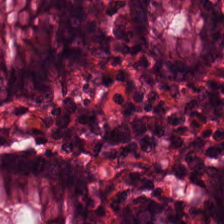Tissue type = normal colon mucosa.
